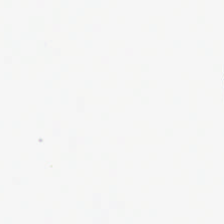Hematoxylin and eosin — Q: Classify this patch.
A: Empty background.
